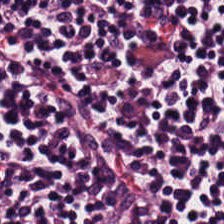Hematoxylin and eosin.
{"tissue_type": "lymphocytic infiltrate"}
